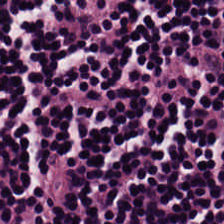H&E.
Q: What type of tissue is this?
A: The field shows lymphoid infiltrate.
